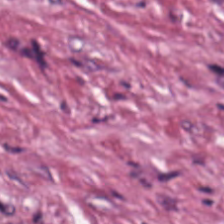Formalin-fixed paraffin-embedded section. H&E-stained tissue section. 224×224 px tile. Predominantly desmoplastic stroma.
